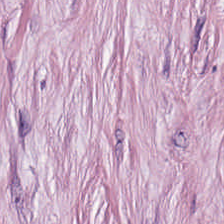H&E-stained tissue section.
This patch shows cancer-associated stroma.
